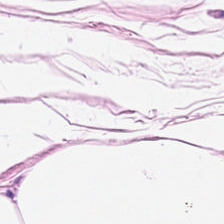Stain: H&E-stained tissue section.
Tissue type: fat tissue.
